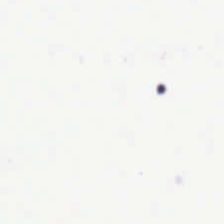Hematoxylin-and-eosin stained section. No tissue present; background only.
